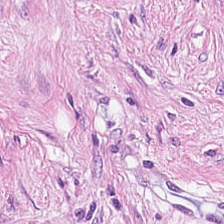224×224 pixel tile; H&E-stained tissue section; 0.5 µm per pixel.
The tissue class is desmoplastic stroma.
